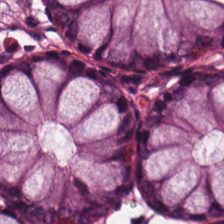H&E stain · FFPE tissue section · 224×224 px tile. Classification: normal colonic mucosa.
